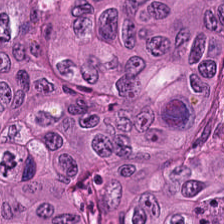H&E stain — The tissue here is colorectal adenocarcinoma.
